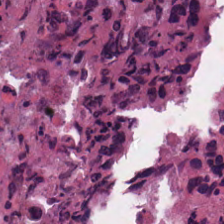Whole-slide-image patch; hematoxylin-and-eosin stained section. Tissue type: cellular debris.
